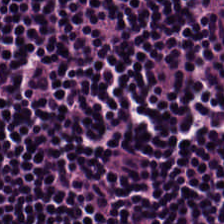H&E-stained section; the field shows lymphoid infiltrate.
